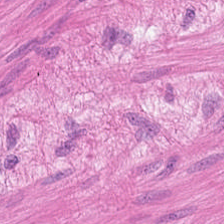H&E stain; FFPE.
Q: What tissue is shown?
A: The field shows smooth muscle.
